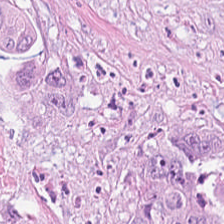H&E stain.
Tissue — adenocarcinoma.
